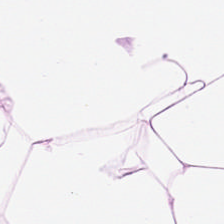Stain: hematoxylin-and-eosin stained section.
Resolution: 0.5 µm/px.
Predominant tissue: fat tissue.
